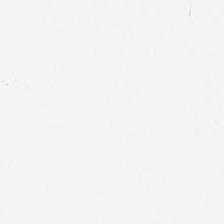H&E-stained tissue section — Q: What is shown in this field?
A: This is background (no tissue).
